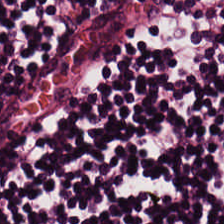Hematoxylin-and-eosin stained section · 0.5 microns per pixel. Finding — lymphocytic infiltrate.
